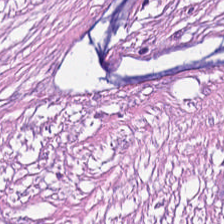Hematoxylin-and-eosin stained section. Tissue = cancer-associated stroma.
